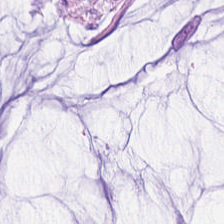H&E-stained tissue section; FFPE tissue section; WSI patch. Tissue — extracellular mucin.
